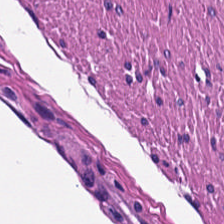H&E · FFPE. The tissue class is smooth muscle.
